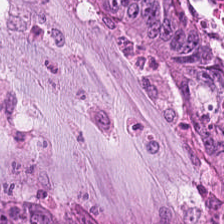FFPE tissue section; 0.5 µm/px; H&E stain — Adenocarcinoma.
